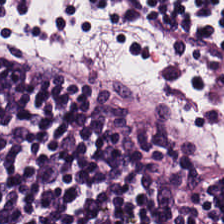Classification — lymphocytic infiltrate.
